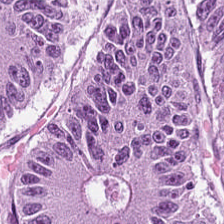H&E-stained tissue section; 224×224 px tile.
Tissue class — colorectal adenocarcinoma epithelium.
